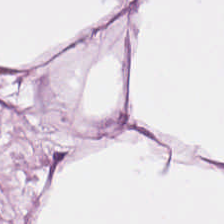Formalin-fixed paraffin-embedded section · H&E.
This patch shows adipose tissue.
